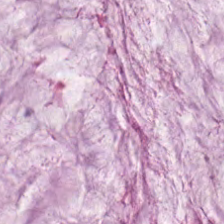H&E. Showing mucus.
